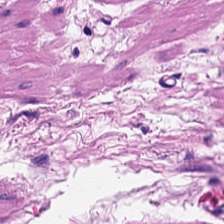Q: What is shown here?
A: Smooth muscle.
